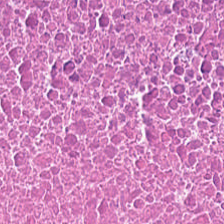H&E. FFPE.
Q: What type of tissue is this?
A: Cellular debris.
